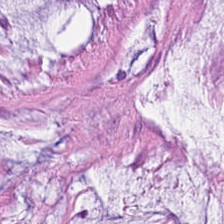224×224 px tile · H&E. Q: Classify this patch.
A: Extracellular mucin.
